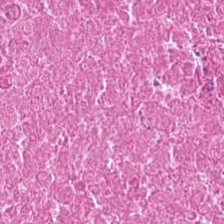Hematoxylin-and-eosin stained section. Formalin-fixed paraffin-embedded section. 224×224 px tile.
Showing cellular debris.
